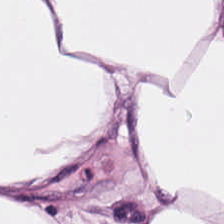Q: What is the predominant tissue type?
A: This is adipocytes.
